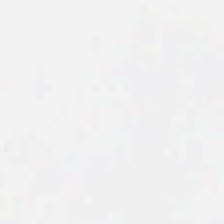Q: Classify this patch.
A: The field shows background (no tissue).
